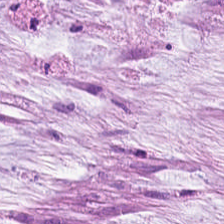Showing mucin.
